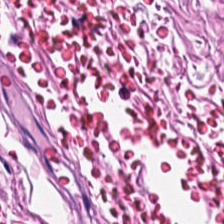FFPE tissue section. H&E. This patch shows smooth muscle.
